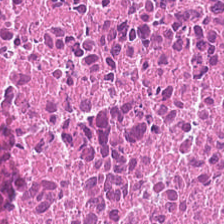Hematoxylin-and-eosin stained section. Necrotic debris.
